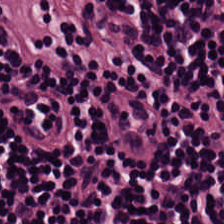Stain: H&E stain.
Tissue type: lymphoid infiltrate.
